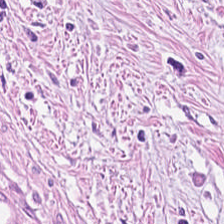Stain: H&E stain.
Tissue: cancer-associated stroma.
